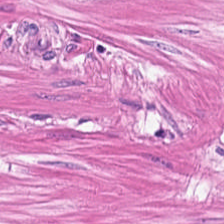224×224 px tile · H&E stain — The tissue is smooth muscle.
